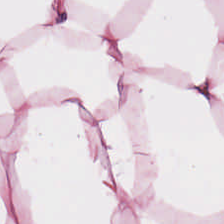WSI patch; hematoxylin-and-eosin stained section.
Showing fat tissue.
